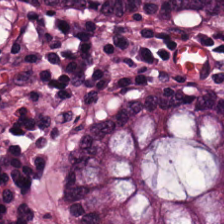Hematoxylin-and-eosin section: non-neoplastic colon mucosa.
